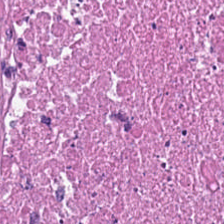H&E. Q: Classify this patch.
A: The field shows necrotic debris.
